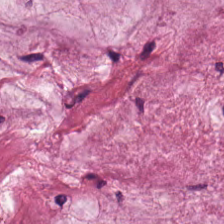Stain: hematoxylin-and-eosin stained section.
Predominant tissue: extracellular mucin.
